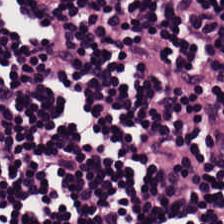Hematoxylin and eosin; formalin-fixed paraffin-embedded section.
Impression → lymphocytes.
